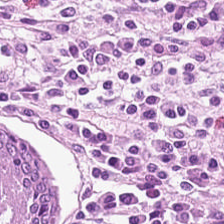Hematoxylin and eosin. Q: What tissue is shown?
A: It is non-neoplastic colon mucosa.
